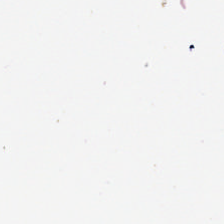Hematoxylin-and-eosin stained section. Formalin-fixed paraffin-embedded section. Whole-slide-image patch.
This field is background (no tissue).
